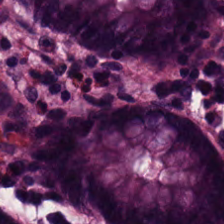Whole-slide-image patch · hematoxylin and eosin · formalin-fixed paraffin-embedded section.
Tissue type: benign colonic mucosa.
